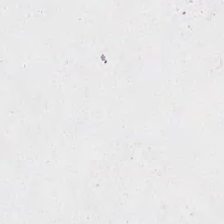FFPE. H&E.
Background — no tissue in this field.
